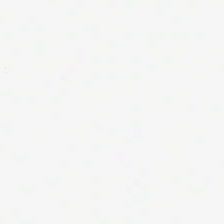0.5 µm/px; H&E-stained tissue section; FFPE.
The classification is background.
